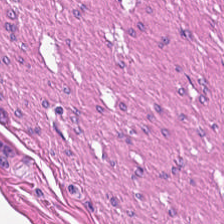H&E — Classification: smooth muscle.
